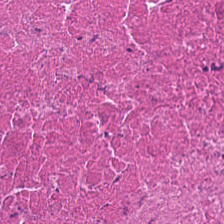Whole-slide-image patch; hematoxylin and eosin. Cellular debris.
